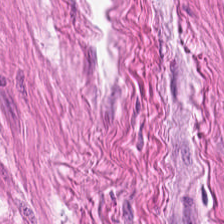Hematoxylin-and-eosin stained section. {"tissue_type": "muscularis"}
